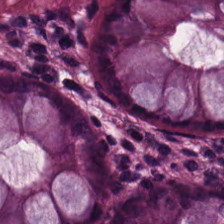Tissue type = normal colon mucosa.
